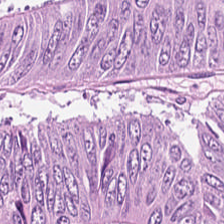Predominant tissue: colorectal adenocarcinoma.
